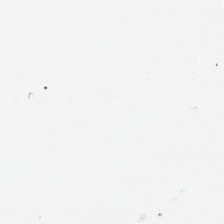Field content = background (no tissue).
